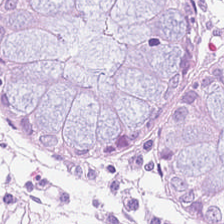H&E-stained tissue section. Formalin-fixed paraffin-embedded section. 224×224 px tile.
This patch shows benign colonic mucosa.
